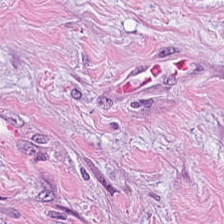H&E; FFPE tissue section — Q: What is the predominant tissue type?
A: The field shows tumor-associated stroma.
